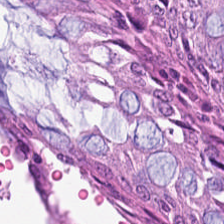20× equivalent magnification · H&E.
The tissue here is normal colonic mucosa.
